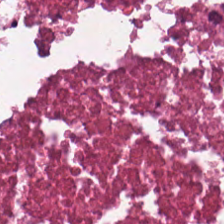FFPE tissue section. H&E stain — Predominantly debris.
